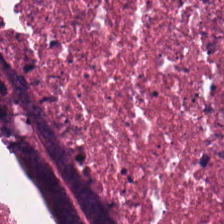H&E-stained tissue section. Q: Identify the tissue.
A: It is cellular debris.
